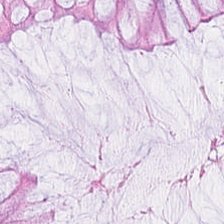Hematoxylin and eosin. 0.5 µm per pixel — Finding — benign colonic mucosa.
